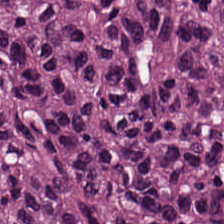Hematoxylin-and-eosin stained section.
This field is colorectal adenocarcinoma epithelium.
